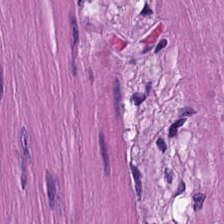Hematoxylin and eosin.
Classification: smooth-muscle tissue.
